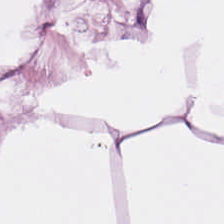This field is adipose.
